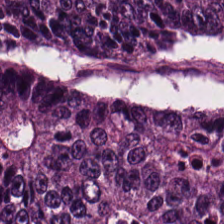H&E-stained tissue section. Q: What does this patch show?
A: It is malignant epithelium.
